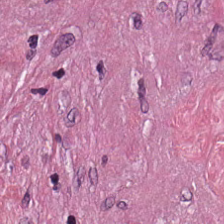Stain: H&E.
Predominant tissue: tumor stroma.
